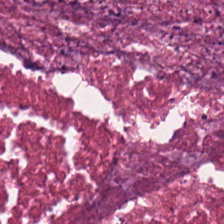Hematoxylin and eosin.
Showing cellular debris.
